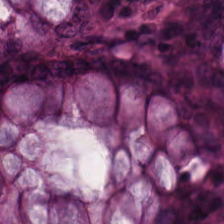Hematoxylin-and-eosin stained section — Histology → benign colonic mucosa.
